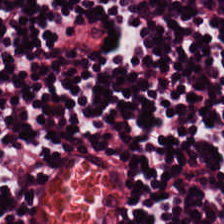H&E-stained tissue section.
Tissue class — lymphocyte aggregate.
